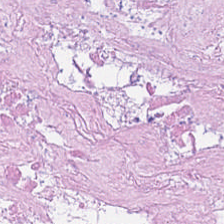H&E-stained tissue section. 0.5 µm/px — Finding — necrotic debris.
